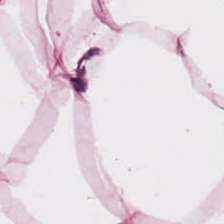Stain: H&E-stained tissue section.
Tissue type: fat tissue.
